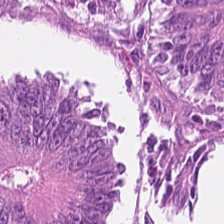H&E. Predominant tissue — adenocarcinoma.
